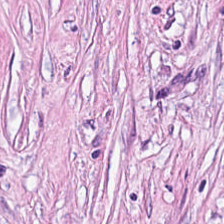H&E stain.
Classification — tumor stroma.
